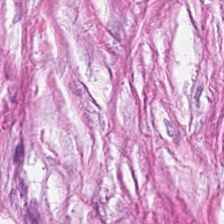H&E patch showing desmoplastic stroma.
